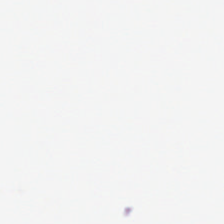Stain: hematoxylin-and-eosin stained section.
Content: background.
